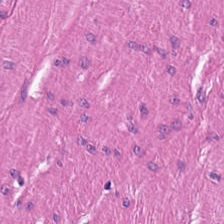The tissue type is smooth muscle.
